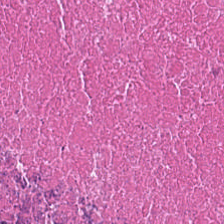Predominant tissue = cellular debris.
